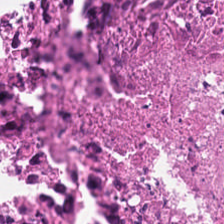H&E-stained tissue section — Impression → debris.
